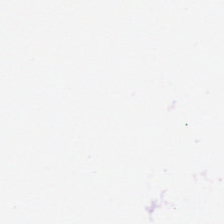Hematoxylin-and-eosin stained section.
Q: What is shown in this field?
A: The field shows background.
